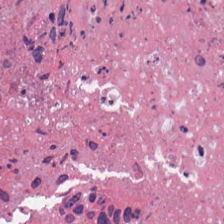Hematoxylin and eosin. 20× equivalent magnification. Predominant tissue — necrotic debris.
